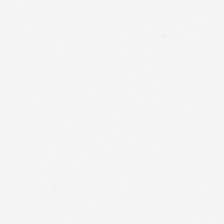H&E stain; WSI patch.
Classification = empty background.
